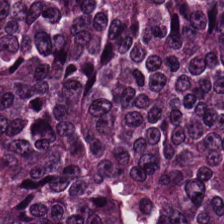H&E; WSI patch.
Classification — colorectal adenocarcinoma.
